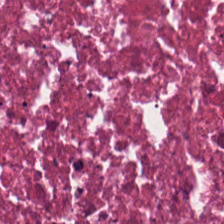Stain: H&E-stained tissue section.
Tile size: 224×224 px patch.
Preparation: FFPE.
Tissue: cellular debris.
